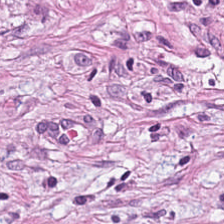20× equivalent magnification · hematoxylin and eosin — Tissue type = cancer-associated stroma.
